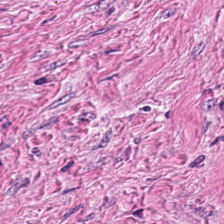Showing tumor-associated stroma.
